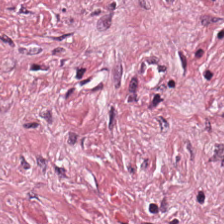Stain: hematoxylin-and-eosin stained section.
Tissue class: tumor-associated stroma.
